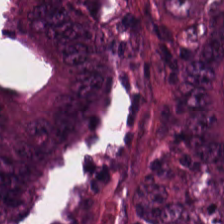H&E-stained tissue section. Q: What is the predominant tissue type?
A: The field shows malignant epithelium.
